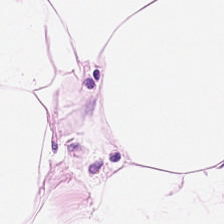H&E-stained tissue section — {"tissue_type": "adipocytes"}
